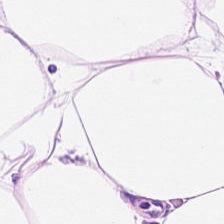Q: What does this patch show?
A: It is adipose.
